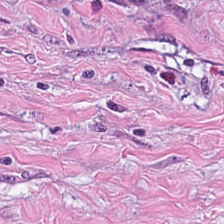Q: What is shown in this field?
A: Desmoplastic stroma.
